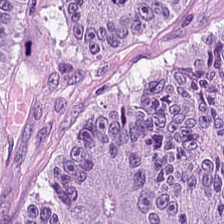Hematoxylin and eosin · formalin-fixed paraffin-embedded section · 0.5 microns per pixel — Showing colorectal adenocarcinoma epithelium.
